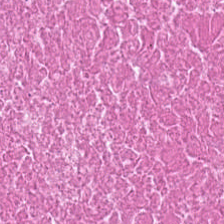WSI patch. H&E-stained tissue section. FFPE.
This field is necrotic debris.
